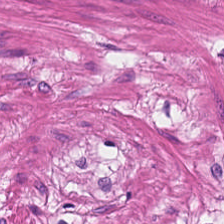0.5 microns per pixel. H&E-stained tissue section. 224×224 pixel tile — The predominant tissue is smooth muscle.
